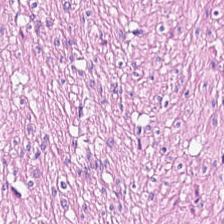H&E-stained tissue section — {"tissue_type": "smooth-muscle tissue"}
